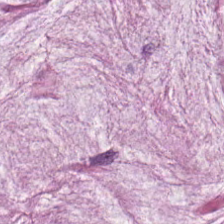FFPE tissue section. Whole-slide-image patch. Hematoxylin and eosin.
Classification = extracellular mucin.
